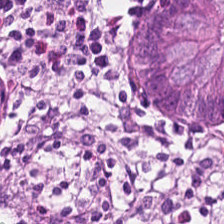Q: What tissue is shown?
A: Benign colonic mucosa.
